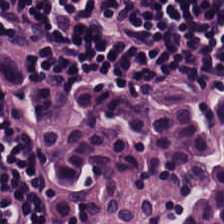224×224 pixel tile; H&E-stained tissue section; 0.5 µm per pixel.
Q: What tissue is shown?
A: The field shows lymphocyte aggregate.
